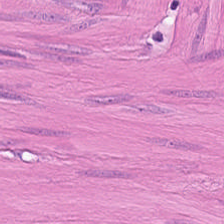224×224 px tile · H&E.
This field is smooth-muscle tissue.
